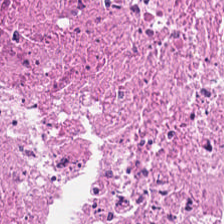H&E-stained tissue section — Q: What does this patch show?
A: It is debris.
